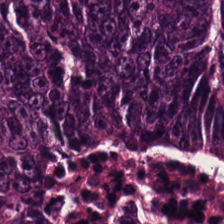H&E — The tissue here is colorectal adenocarcinoma epithelium.
